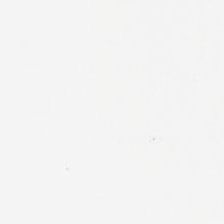Stain: hematoxylin-and-eosin stained section.
Classification: background (no tissue).
